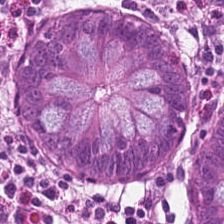Hematoxylin-and-eosin stained section · FFPE tissue section · brightfield.
Impression — normal colon mucosa.
